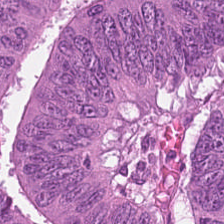H&E stain — This field is malignant epithelium.
